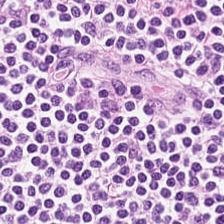H&E; 20× equivalent magnification. {"tissue_type": "lymphoid infiltrate"}
